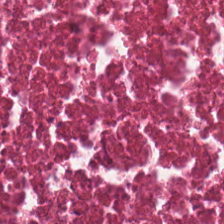H&E-stained tissue section — Impression → necrotic debris.
